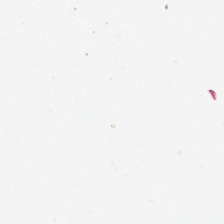Formalin-fixed paraffin-embedded section · H&E stain · 0.5 µm/px — Histology — no tissue.
